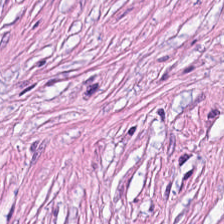H&E-stained section; the field shows tumor-associated stroma.
